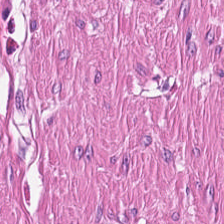FFPE · H&E stain.
Tissue: smooth muscle.
